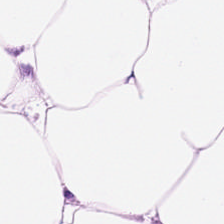Stain: H&E stain.
Resolution: 20× equivalent magnification.
Tile size: 224×224 px tile.
Tissue type: adipose tissue.
